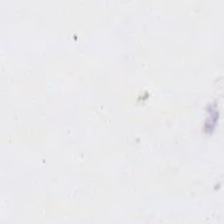H&E stain. Classification — background.
